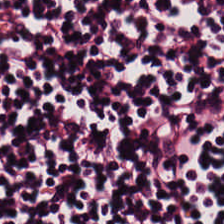H&E-stained section; the field shows lymphocytic infiltrate.
